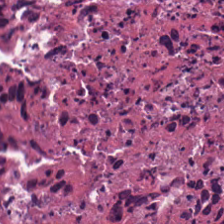224×224 px tile · 0.5 µm/px · H&E — {"tissue_type": "debris"}
